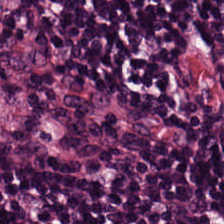H&E-stained tissue section.
Q: What tissue type is shown here?
A: Lymphoid infiltrate.
